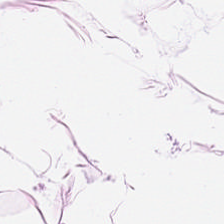FFPE. Hematoxylin and eosin — {"tissue_type": "adipose"}
